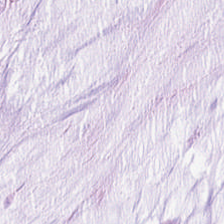H&E stain; 0.5 microns per pixel; FFPE — Histology — mucin.
